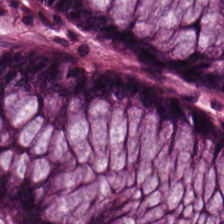Stain: H&E.
Tissue: non-neoplastic colon mucosa.
